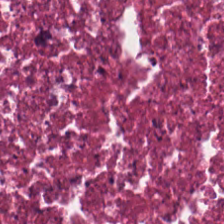Tissue — cellular debris.
